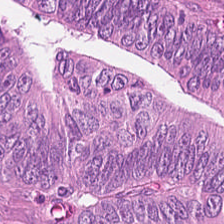Hematoxylin-and-eosin stained section · 224×224 px patch · FFPE. The tissue type is adenocarcinoma.
